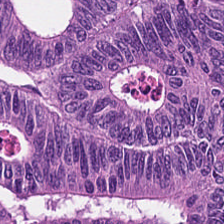Stain: H&E.
Acquisition: whole-slide-image patch.
Predominant tissue: colorectal adenocarcinoma epithelium.
